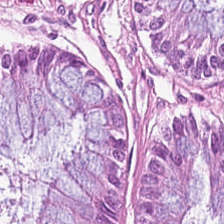The predominant tissue is normal colon mucosa.
